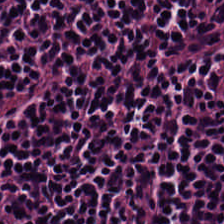Q: What tissue is shown?
A: Lymphocytes.
